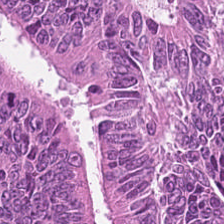H&E. The predominant tissue is colorectal adenocarcinoma.
